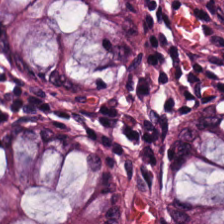H&E-stained tissue section.
The tissue is non-neoplastic colon mucosa.
